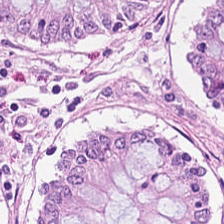Impression → non-neoplastic colon mucosa.
